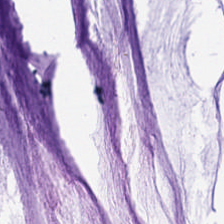Tissue class — extracellular mucin.
